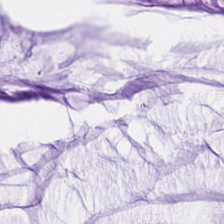Stain: hematoxylin and eosin.
Preparation: FFPE.
Tissue class: mucus.
